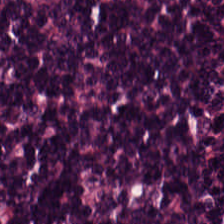H&E.
The tissue is lymphoid infiltrate.
